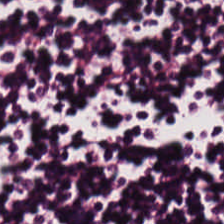H&E stain.
Predominantly lymphocyte aggregate.
